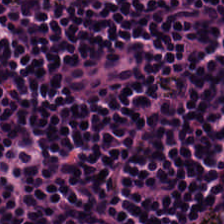0.5 µm per pixel · whole-slide-image patch · H&E stain — Impression → lymphoid infiltrate.
